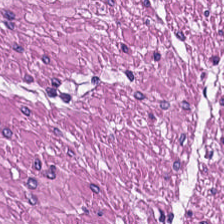H&E-stained tissue section — Q: What is shown in this field?
A: This is smooth muscle.
